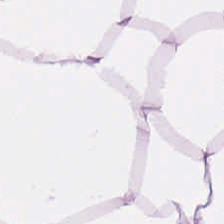Stain: hematoxylin-and-eosin stained section.
Tissue type: adipocytes.
